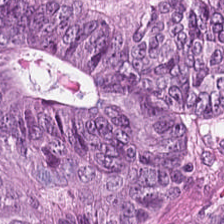Tissue type = adenocarcinoma.
